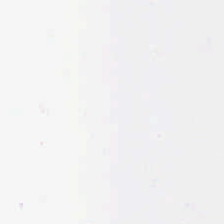H&E stain.
Impression — background.
